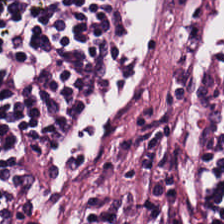H&E-stained tissue section — Predominant tissue = lymphocytic infiltrate.
